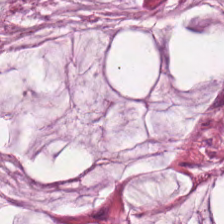Stain: hematoxylin and eosin.
Resolution: 0.5 µm per pixel.
Tile size: 224×224 px tile.
Tissue type: mucus.
